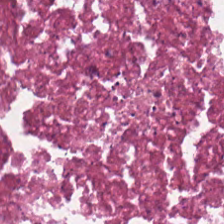{"tissue_type": "necrotic debris"}
